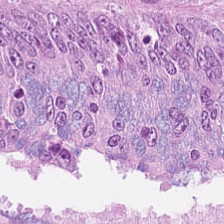H&E stain — Classification = colorectal adenocarcinoma epithelium.
